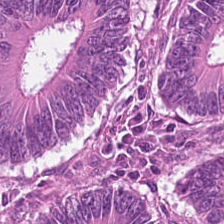224×224 px tile · H&E-stained tissue section.
Colorectal adenocarcinoma.
